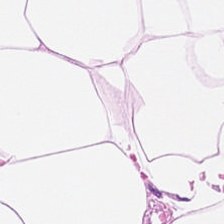H&E-stained tissue section · brightfield microscopy · FFPE. This patch shows adipose tissue.
